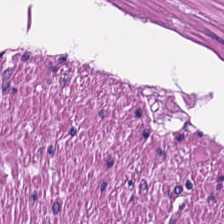Q: Identify the tissue.
A: Smooth muscle.
